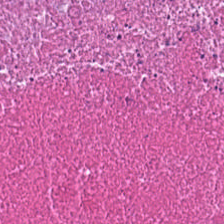H&E — debris.
